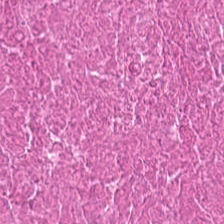Stain: hematoxylin-and-eosin stained section.
Classification: necrotic debris.
